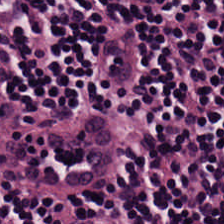H&E.
Q: Classify this patch.
A: The field shows lymphocytes.
